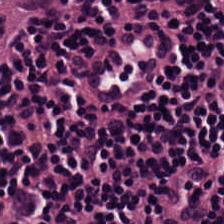Hematoxylin and eosin · 224×224 px tile — Histology → lymphocytes.
